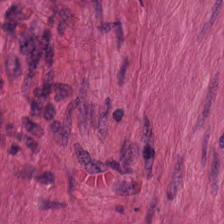Formalin-fixed paraffin-embedded section · H&E — The tissue is smooth-muscle tissue.
